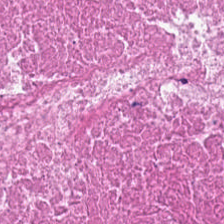FFPE tissue section; hematoxylin and eosin; whole-slide-image patch. {"tissue_type": "necrotic debris"}
